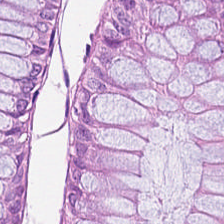Hematoxylin and eosin · 20× equivalent magnification.
The tissue here is normal colonic mucosa.
